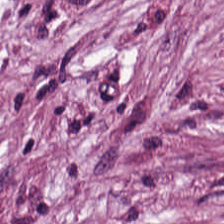H&E stain. Predominantly tumor stroma.
